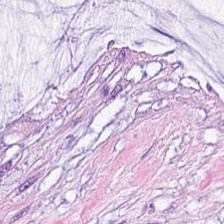Predominantly extracellular mucin.
